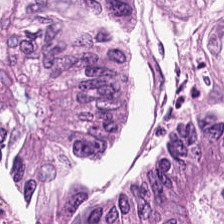Hematoxylin-and-eosin stained section; 224×224 px tile. Q: What is shown in this field?
A: The field shows colorectal adenocarcinoma epithelium.
